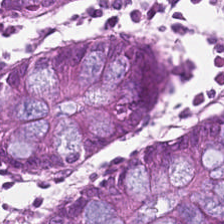H&E-stained tissue section.
The tissue here is benign colonic mucosa.
